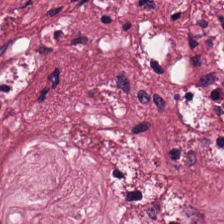Hematoxylin-and-eosin stained section.
This patch shows cancer-associated stroma.
